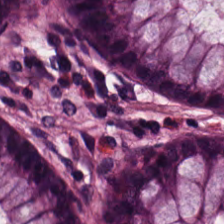Hematoxylin and eosin. The predominant tissue is normal colon mucosa.
